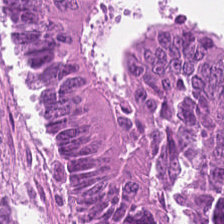H&E-stained tissue section · FFPE tissue section · 20× equivalent magnification.
Predominantly adenocarcinoma.
